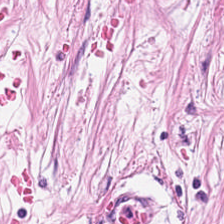0.5 µm/px · hematoxylin and eosin. This field is desmoplastic stroma.
